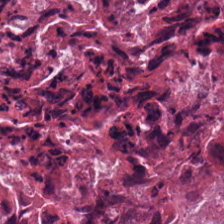The predominant tissue is necrotic debris.
